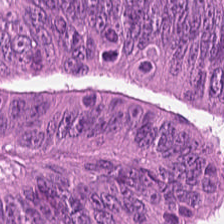Stain: H&E.
Predominant tissue: colorectal adenocarcinoma.
